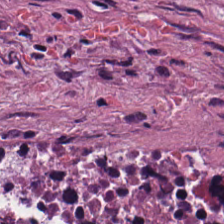Hematoxylin and eosin.
Q: What does this patch show?
A: This is tumor-associated stroma.
